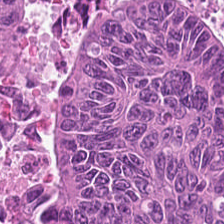Q: What is the predominant tissue type?
A: It is adenocarcinoma.
